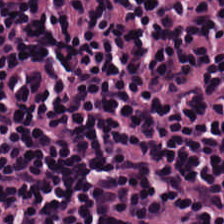H&E-stained tissue section. Lymphoid infiltrate.
